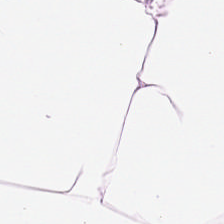FFPE · 20× equivalent magnification · H&E.
Predominantly adipose tissue.
